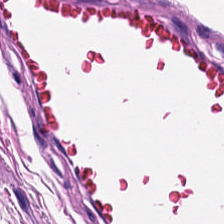224×224 px tile. H&E-stained tissue section. Brightfield microscopy.
Classification: muscularis.
